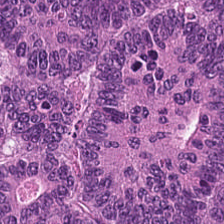Hematoxylin-and-eosin stained section; 224×224 px patch — Tissue class — malignant epithelium.
